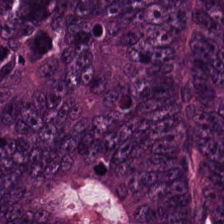FFPE tissue section. Hematoxylin and eosin — This field is tumor epithelium.
